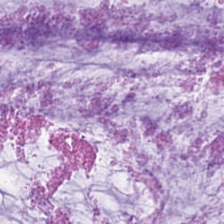H&E stain.
Predominantly mucin.
